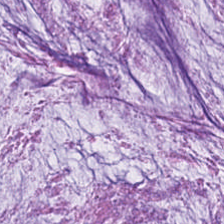H&E · FFPE — Tissue type: mucin.
